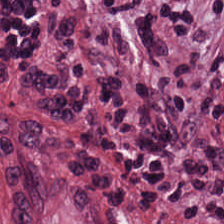This patch shows tumor-associated stroma.
